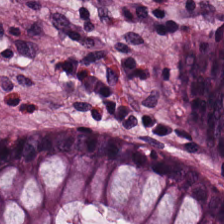Hematoxylin and eosin.
Q: What is the predominant tissue type?
A: The field shows non-neoplastic colon mucosa.
